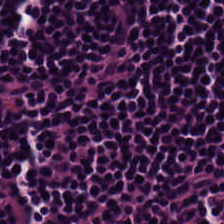The predominant tissue is lymphoid infiltrate.
